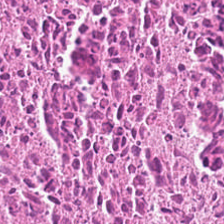WSI patch. Hematoxylin and eosin — Tissue type: necrotic debris.
